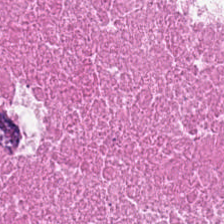H&E stain.
Debris.
